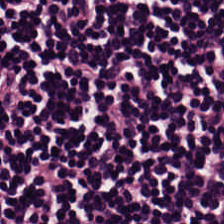H&E stain.
Showing lymphocyte aggregate.
